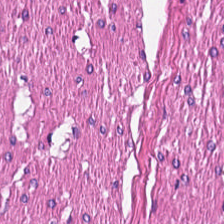Hematoxylin and eosin. Finding → muscularis.
